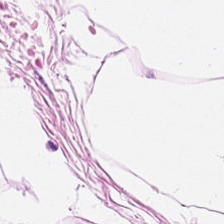Whole-slide-image patch · hematoxylin and eosin · 0.5 µm/px — This field is adipose.
